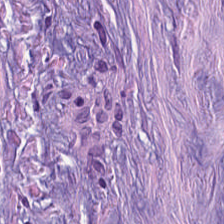H&E-stained tissue section — Impression — cancer-associated stroma.
